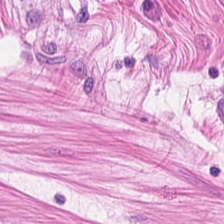H&E stain. 224×224 pixel tile. Brightfield microscopy — Impression — muscularis.
